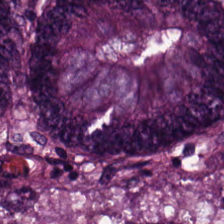H&E-stained tissue section.
Q: Classify this patch.
A: This is colorectal adenocarcinoma.
